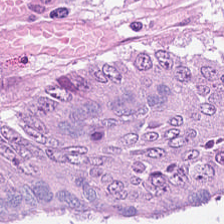Hematoxylin and eosin — This field is adenocarcinoma.
